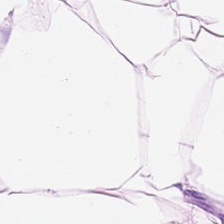H&E stain.
Showing fat tissue.
